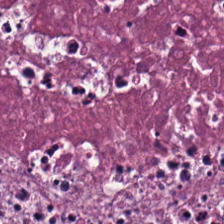H&E stain.
Tissue class: debris.
